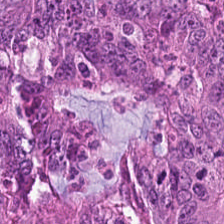H&E-stained tissue section.
Q: What is shown in this field?
A: It is colorectal adenocarcinoma.
